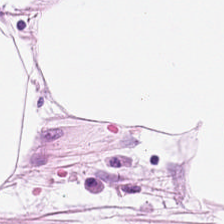Stain: H&E-stained tissue section.
Tissue type: adipose tissue.
